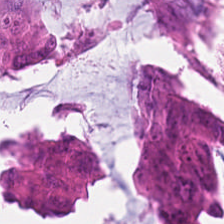Stain: H&E-stained tissue section.
Classification: colorectal adenocarcinoma epithelium.
